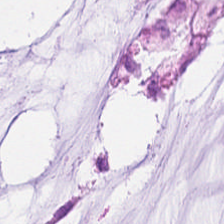Predominant tissue = mucus.
